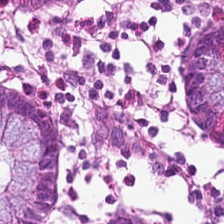Q: Classify this patch.
A: Normal colon mucosa.
